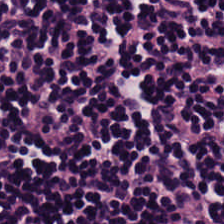Hematoxylin-and-eosin stained section. Predominantly lymphocytes.
